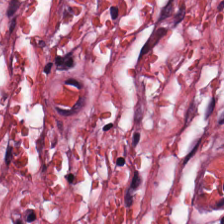Showing tumor stroma.
